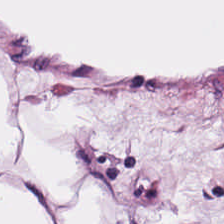H&E stain.
Impression → adipocytes.
